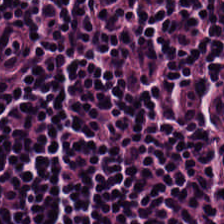Stain: hematoxylin-and-eosin stained section.
Acquisition: brightfield microscopy.
Classification: lymphocyte aggregate.
